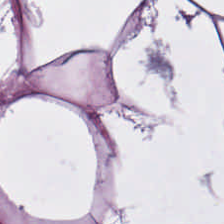Stain: hematoxylin and eosin.
Acquisition: brightfield.
Tissue: adipocytes.
